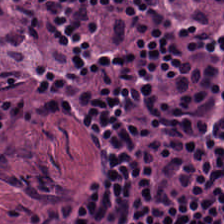H&E-stained tissue section — Predominant tissue = lymphocytes.
